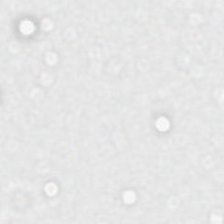Brightfield microscopy. H&E.
Q: What is shown here?
A: This is no tissue.
